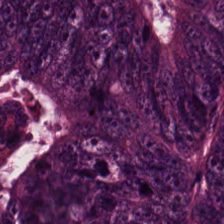H&E · WSI patch — Predominant tissue — tumor epithelium.
